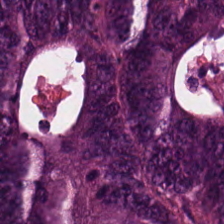H&E stain. Predominantly colorectal adenocarcinoma.
